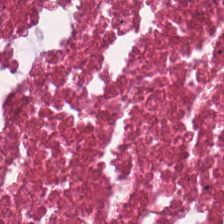Hematoxylin and eosin — The classification is necrotic debris.
